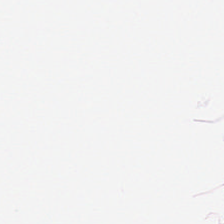H&E-stained tissue section. FFPE tissue section — Tissue class = adipose.
